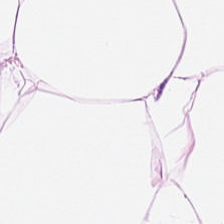Q: What tissue type is shown here?
A: Adipose.
